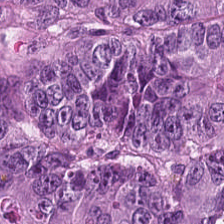Stain: H&E-stained tissue section.
Tissue: malignant epithelium.
